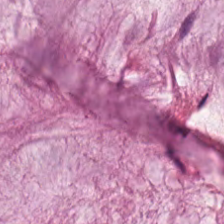Classification: mucus.
